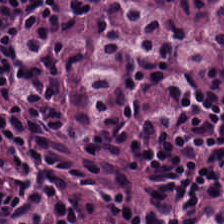The predominant tissue is lymphocytic infiltrate.
